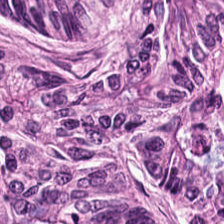Hematoxylin and eosin — Tissue — tumor epithelium.
